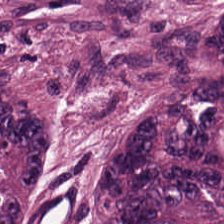H&E — This field is colorectal adenocarcinoma.
